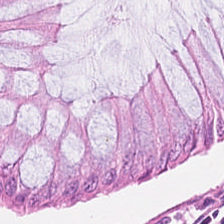H&E stain. FFPE tissue section — The tissue class is normal colon mucosa.
